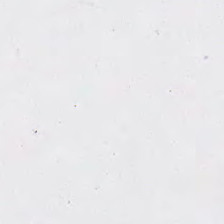Background.
